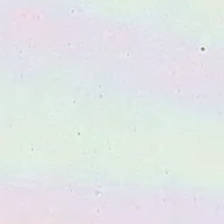224×224 px patch · H&E.
Q: What does this patch show?
A: It is no tissue.
